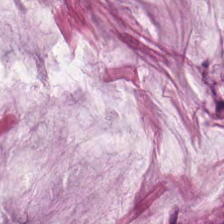FFPE tissue section; hematoxylin-and-eosin stained section; 20× equivalent magnification.
The predominant tissue is extracellular mucin.
